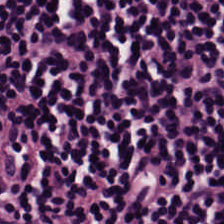The classification is lymphoid infiltrate.
